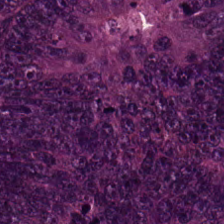Tissue class = colorectal adenocarcinoma epithelium.
